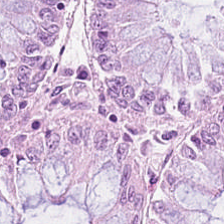H&E stain.
Q: What is shown in this field?
A: It is benign colonic mucosa.
